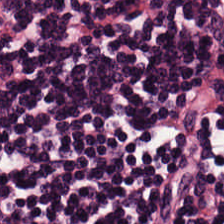H&E. FFPE tissue section. 0.5 µm per pixel — This patch shows lymphocytic infiltrate.
